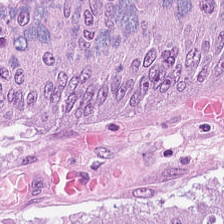H&E. Q: What is shown here?
A: It is malignant epithelium.
